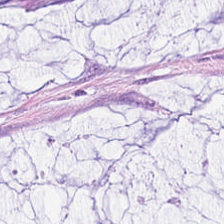Hematoxylin-and-eosin stained section — The tissue class is extracellular mucin.
